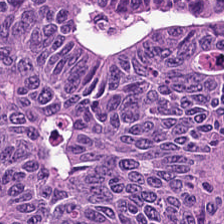H&E · 0.5 µm/px. Q: What tissue is shown?
A: The field shows malignant epithelium.
